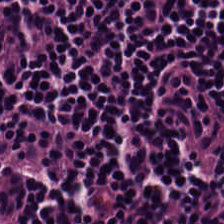Hematoxylin-and-eosin stained section. The predominant tissue is lymphoid infiltrate.
